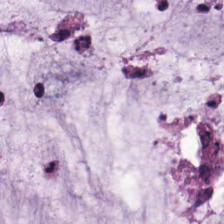Tissue — mucus.
